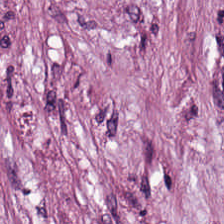Hematoxylin-and-eosin stained section.
Impression → cancer-associated stroma.
